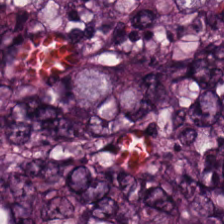Predominant tissue: colorectal adenocarcinoma epithelium.
